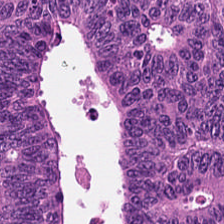Hematoxylin and eosin. Predominant tissue — tumor epithelium.
